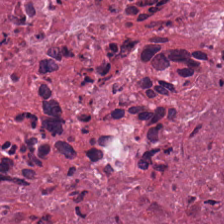H&E-stained tissue section — Histology — debris.
